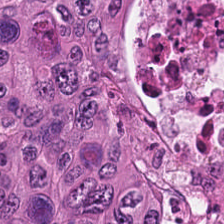H&E stain — Classification = malignant epithelium.
